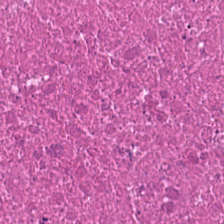H&E.
Predominant tissue — cellular debris.
